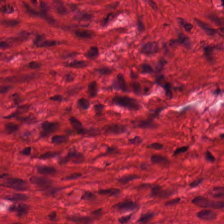Stain: H&E-stained tissue section.
Classification: muscularis.
